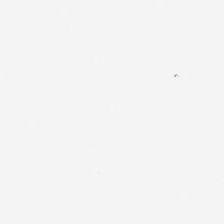H&E.
Q: What is shown in this field?
A: No tissue.
